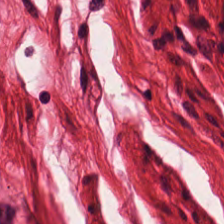20× equivalent magnification. Hematoxylin and eosin. Whole-slide-image patch.
Predominant tissue = smooth-muscle tissue.
